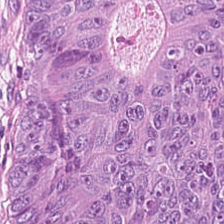H&E. 224×224 pixel tile. Predominantly colorectal adenocarcinoma.
